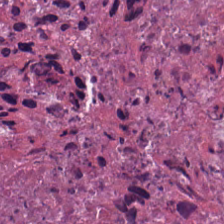H&E stain.
Classification = cellular debris.
